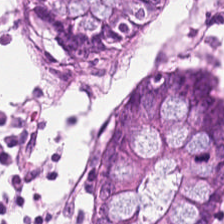H&E stain.
Showing normal colon mucosa.
